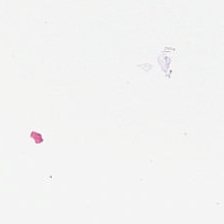Field content: background (no tissue).
